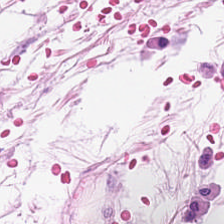Brightfield microscopy · H&E stain. Adipose tissue.
